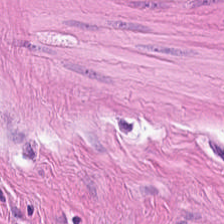Hematoxylin-and-eosin stained section — Classification: muscularis.
